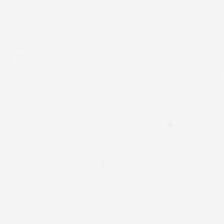Stain: hematoxylin and eosin.
Content: background (no tissue).
